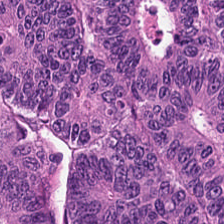The predominant tissue is malignant epithelium.
